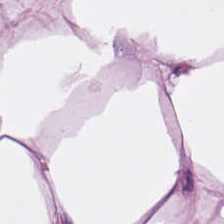{"tissue_type": "fat tissue"}
